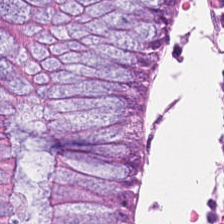Brightfield microscopy; 224×224 px patch; H&E. This patch shows benign colonic mucosa.
